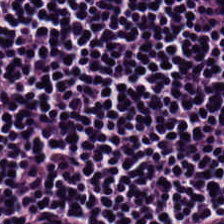Whole-slide-image patch. Hematoxylin and eosin. Q: What is the predominant tissue type?
A: The field shows lymphocyte aggregate.
